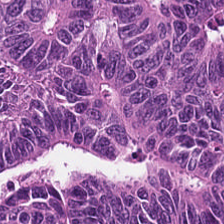Hematoxylin and eosin.
Q: Classify this patch.
A: It is adenocarcinoma.
